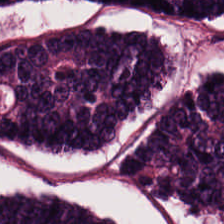H&E stain · formalin-fixed paraffin-embedded section — Tissue class = adenocarcinoma.
